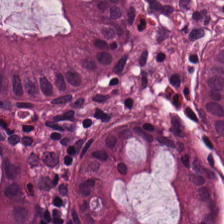H&E.
This patch shows non-neoplastic colon mucosa.
